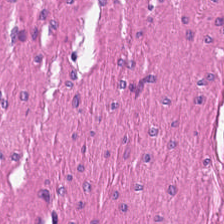Classification = smooth muscle.
